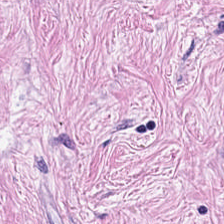0.5 µm/px; hematoxylin-and-eosin stained section.
Tissue class: tumor stroma.
